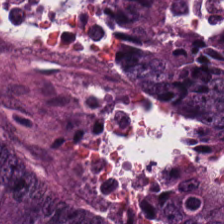H&E · WSI patch — {"tissue_type": "colorectal adenocarcinoma epithelium"}
